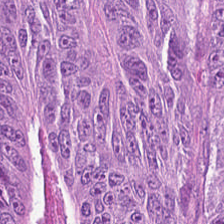Stain: H&E-stained tissue section.
Preparation: formalin-fixed paraffin-embedded section.
Acquisition: whole-slide-image patch.
Tissue class: tumor epithelium.
